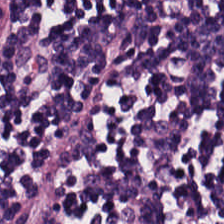H&E-stained tissue section; 0.5 microns per pixel. The predominant tissue is lymphocyte aggregate.
